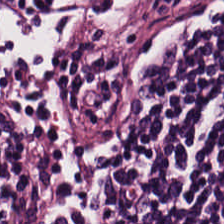Q: What tissue is shown?
A: It is lymphocyte aggregate.
